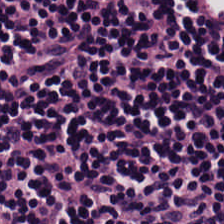H&E stain · 224×224 px tile. The predominant tissue is lymphoid infiltrate.
